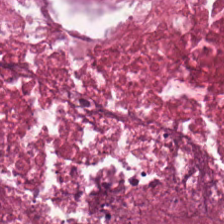Tissue — necrotic debris.
